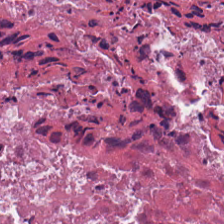Q: What is shown here?
A: It is necrotic debris.
